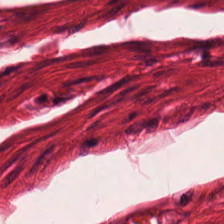Q: What tissue is shown?
A: It is smooth-muscle tissue.
